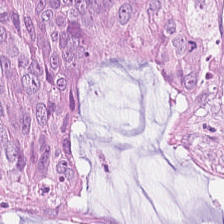Stain: H&E stain.
Tissue class: colorectal adenocarcinoma epithelium.
